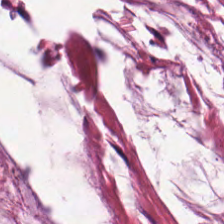H&E patch showing mucin.
